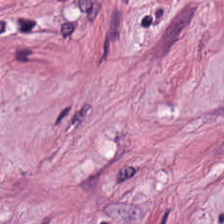H&E. This field is tumor stroma.
